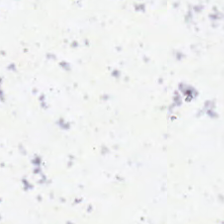No tissue present; background only.
